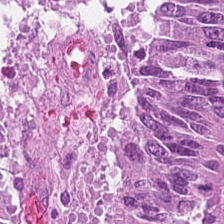H&E. The tissue here is tumor epithelium.
